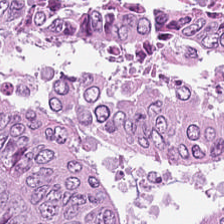The tissue here is tumor epithelium.
